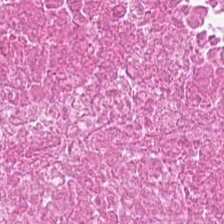Hematoxylin and eosin.
The classification is cellular debris.
